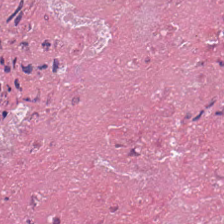224×224 px patch · H&E-stained tissue section.
The predominant tissue is necrotic debris.
